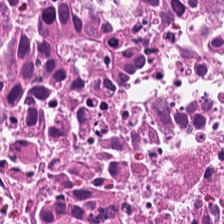Predominantly debris.
